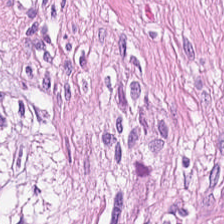H&E-stained tissue section.
This patch shows muscularis.
